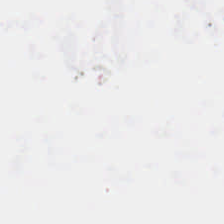H&E-stained tissue section. Content — background.
